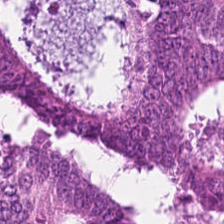Tissue: colorectal adenocarcinoma.
